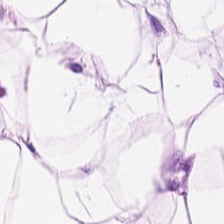FFPE · H&E stain.
Q: What is the predominant tissue type?
A: Adipocytes.
